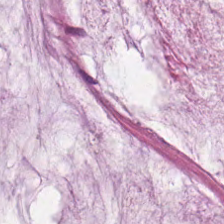H&E stain. Finding — extracellular mucin.
